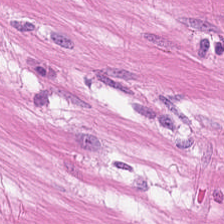Smooth muscle.
